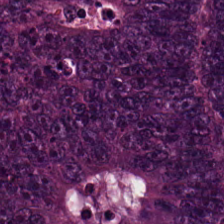H&E; brightfield microscopy.
Tissue: adenocarcinoma.
